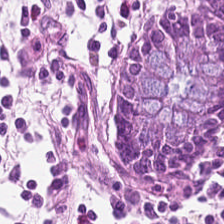H&E-stained tissue section · 224×224 px tile.
The predominant tissue is benign colonic mucosa.
